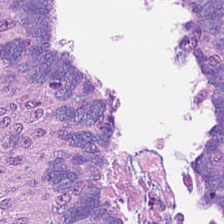H&E.
Q: What does this patch show?
A: It is colorectal adenocarcinoma epithelium.
